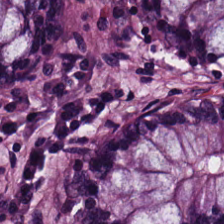Brightfield microscopy; H&E.
The classification is benign colonic mucosa.
